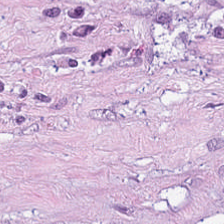Hematoxylin and eosin.
Tissue = desmoplastic stroma.
